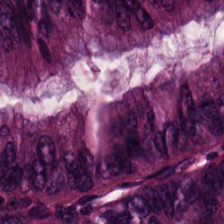Hematoxylin-and-eosin stained section.
{"tissue_type": "adenocarcinoma"}
